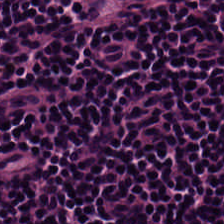H&E stain — Q: What type of tissue is this?
A: This is lymphocyte aggregate.
